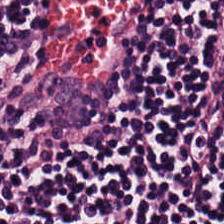Hematoxylin and eosin. Q: What is shown in this field?
A: Lymphocyte aggregate.
